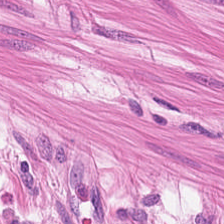Histology — smooth-muscle tissue.
